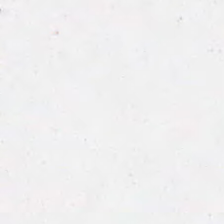0.5 µm per pixel; hematoxylin-and-eosin stained section — {"content": "background"}
